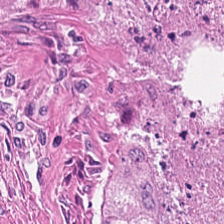H&E stain; FFPE tissue section.
This patch shows debris.
